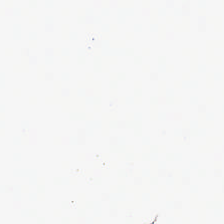H&E; 0.5 µm per pixel; 224×224 pixel tile — Q: What does this patch show?
A: Background.
